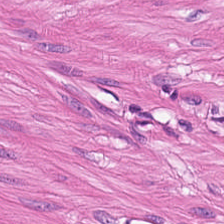Whole-slide-image patch. Hematoxylin and eosin.
Smooth-muscle tissue.
